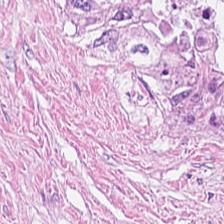H&E stain. Q: Classify this patch.
A: This is tumor-associated stroma.
